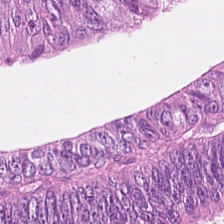Hematoxylin-and-eosin stained section.
Predominantly colorectal adenocarcinoma.
